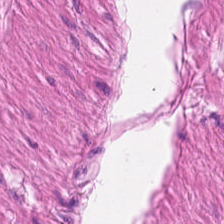Formalin-fixed paraffin-embedded section. H&E stain. This field is smooth-muscle tissue.
